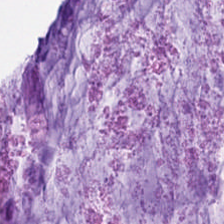H&E stain · 224×224 px tile. {"tissue_type": "mucus"}
